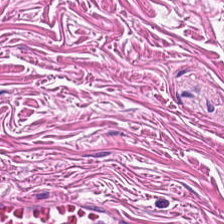Hematoxylin-and-eosin stained section — Impression — muscularis.
